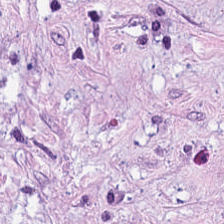H&E stain.
Q: What type of tissue is this?
A: The field shows tumor-associated stroma.
